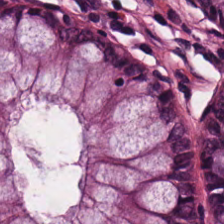224×224 pixel tile · H&E · WSI patch.
Showing normal colon mucosa.
